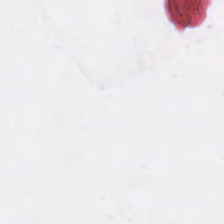H&E. 0.5 microns per pixel.
No tissue present; background only.
